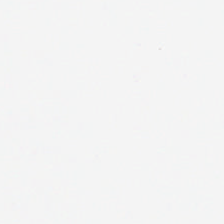H&E — Background (no tissue).
